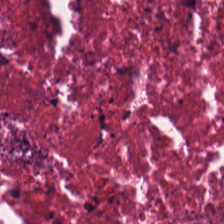Whole-slide-image patch. 0.5 µm/px. H&E.
Finding — necrotic debris.
